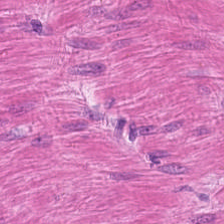20× equivalent magnification; hematoxylin and eosin. Classification = smooth-muscle tissue.
